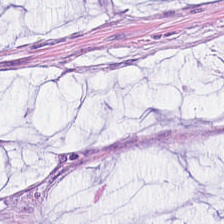H&E. {"tissue_type": "mucin"}
